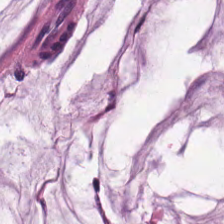20× equivalent magnification. Formalin-fixed paraffin-embedded section. H&E-stained tissue section. Q: What type of tissue is this?
A: Mucus.
